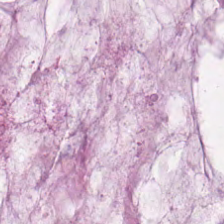Brightfield microscopy · 0.5 µm/px · H&E.
{"tissue_type": "mucus"}
